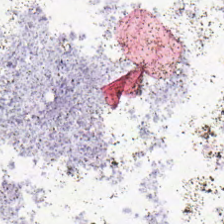224×224 px tile. FFPE. Hematoxylin and eosin. Empty field — no tissue.
